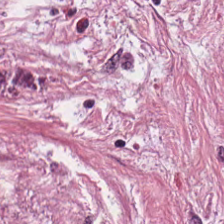H&E stain. This patch shows cancer-associated stroma.
